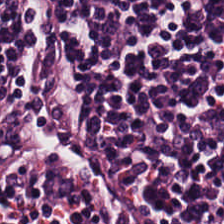Finding → lymphoid infiltrate.
